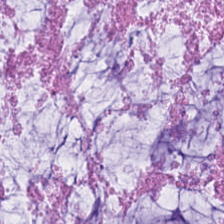0.5 microns per pixel · 224×224 pixel tile · H&E-stained tissue section. Predominantly extracellular mucin.
